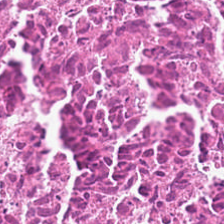H&E stain — Tissue type — cellular debris.
